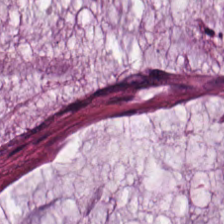FFPE · hematoxylin-and-eosin stained section · 0.5 microns per pixel.
This field is mucin.
